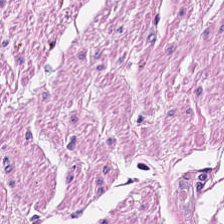{"tissue_type": "smooth muscle"}
